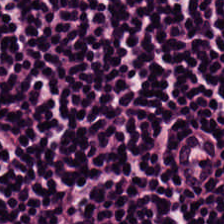H&E.
Showing lymphoid infiltrate.
